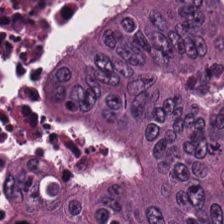H&E · 20× equivalent magnification — The predominant tissue is tumor epithelium.
